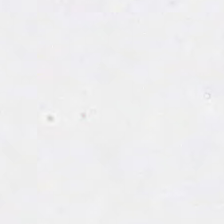Stain: H&E.
Field content: no tissue.
